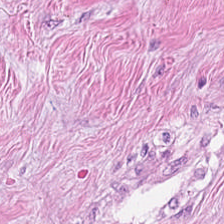Brightfield microscopy; H&E-stained tissue section; 224×224 px tile.
Showing cancer-associated stroma.
